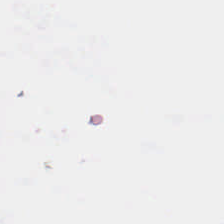Stain: hematoxylin-and-eosin stained section.
Acquisition: WSI patch.
Content: background.
